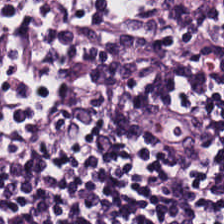Stain: H&E stain.
Tissue class: lymphocyte aggregate.
